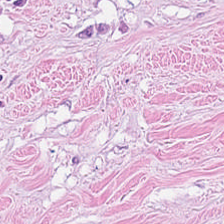Classification — desmoplastic stroma.
